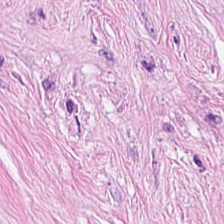20× equivalent magnification · H&E-stained tissue section.
This field is tumor stroma.
